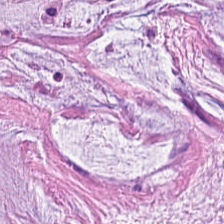224×224 px patch · H&E stain · brightfield — Impression — extracellular mucin.
